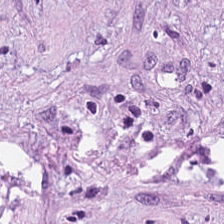Brightfield microscopy · 224×224 px patch · hematoxylin and eosin — Predominant tissue = tumor-associated stroma.
